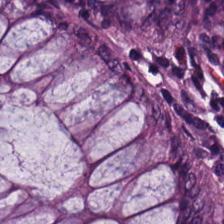Stain: hematoxylin-and-eosin stained section.
Tissue: non-neoplastic colon mucosa.
